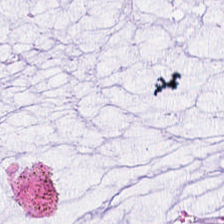Q: What is shown here?
A: Mucin.
